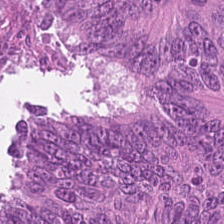Hematoxylin and eosin. 0.5 µm per pixel. Finding → malignant epithelium.
